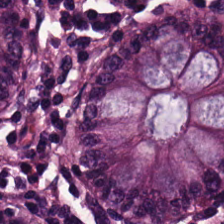Whole-slide-image patch · hematoxylin-and-eosin stained section — Predominant tissue — normal colon mucosa.
